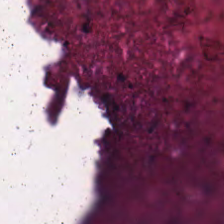H&E. FFPE tissue section. Whole-slide-image patch — The predominant tissue is debris.
